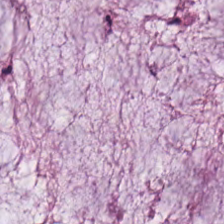Q: What is shown here?
A: Mucus.
